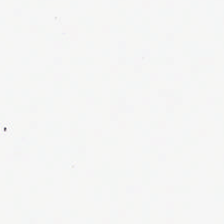Formalin-fixed paraffin-embedded section; H&E-stained tissue section. This field is background (no tissue).
